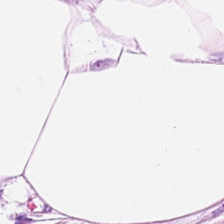H&E-stained tissue section; whole-slide-image patch — Predominant tissue — adipocytes.
